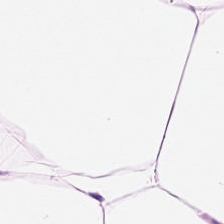Brightfield. FFPE tissue section. H&E stain.
Adipose tissue.
